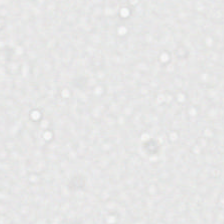H&E — Content: background (no tissue).
